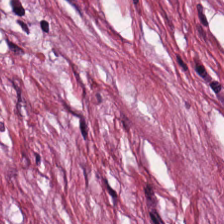H&E-stained tissue section · 0.5 µm per pixel — Tissue type: desmoplastic stroma.
